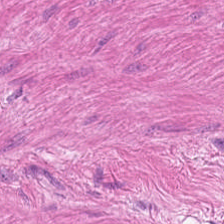H&E-stained tissue section — Showing smooth muscle.
